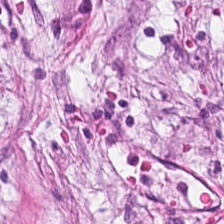Hematoxylin and eosin.
This field is tumor stroma.
